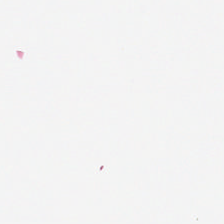20× equivalent magnification. H&E-stained tissue section. No tissue present; background only.
